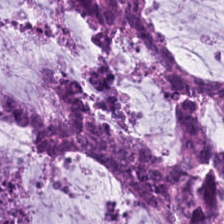H&E — The tissue class is mucus.
